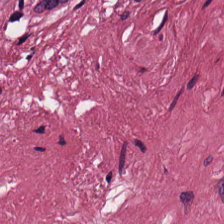H&E stain · WSI patch.
Predominant tissue = cancer-associated stroma.
